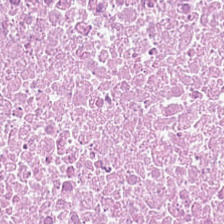FFPE tissue section; hematoxylin-and-eosin stained section; brightfield. Classification: cellular debris.
